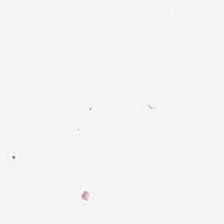Hematoxylin-and-eosin stained section · formalin-fixed paraffin-embedded section. Q: What is shown here?
A: The field shows background (no tissue).
